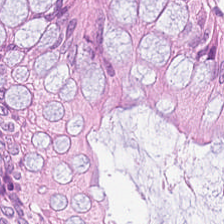0.5 microns per pixel; hematoxylin-and-eosin stained section; formalin-fixed paraffin-embedded section.
Predominantly benign colonic mucosa.
